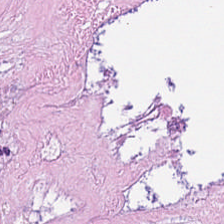WSI patch · hematoxylin and eosin.
Q: What is shown in this field?
A: The field shows debris.
